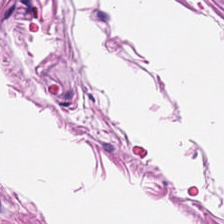Predominantly muscularis.
